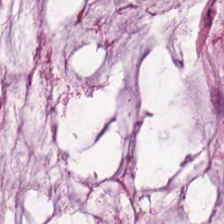Finding → mucus.
